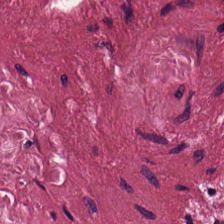Hematoxylin and eosin. 224×224 pixel tile. 0.5 µm/px.
{"tissue_type": "tumor-associated stroma"}
